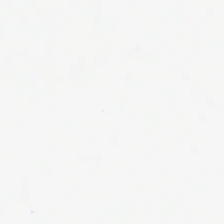Hematoxylin and eosin. Formalin-fixed paraffin-embedded section — Field content = empty background.
